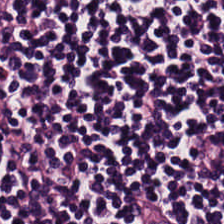Q: What tissue is shown?
A: Lymphocytic infiltrate.
